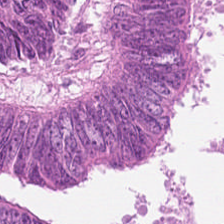Showing adenocarcinoma.
